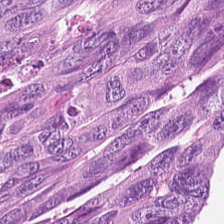Hematoxylin-and-eosin stained section; 0.5 microns per pixel; WSI patch. Q: What tissue is shown?
A: The field shows colorectal adenocarcinoma.
